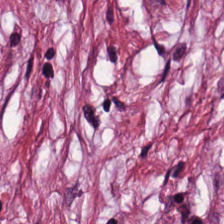Predominantly tumor stroma.
